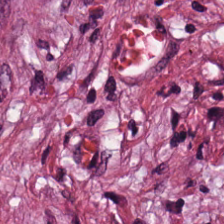Brightfield · H&E-stained tissue section.
Showing tumor stroma.
